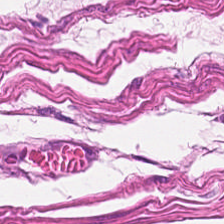Formalin-fixed paraffin-embedded section · 0.5 microns per pixel · H&E stain.
Predominantly smooth-muscle tissue.
